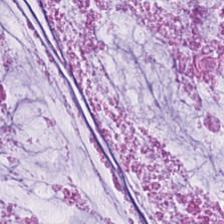Tissue class = extracellular mucin.
